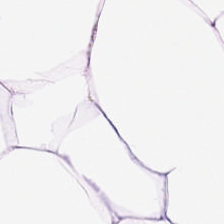The predominant tissue is adipose tissue.
